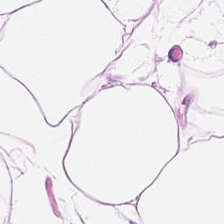Brightfield microscopy. Formalin-fixed paraffin-embedded section. H&E-stained tissue section. Fat tissue.
